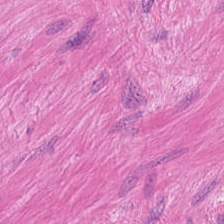H&E-stained tissue section.
Classification = muscularis.
